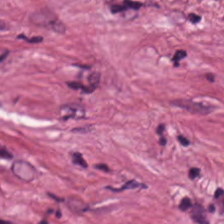FFPE · hematoxylin and eosin · 0.5 µm per pixel — Showing cancer-associated stroma.
